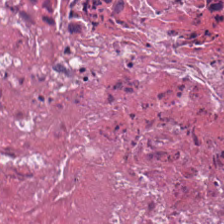Hematoxylin and eosin. Cellular debris.
